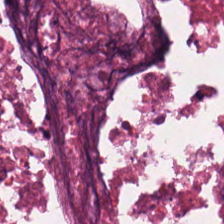Hematoxylin and eosin.
Showing cellular debris.
